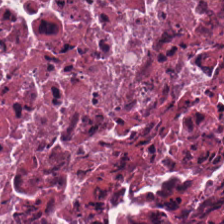Tissue — necrotic debris.
